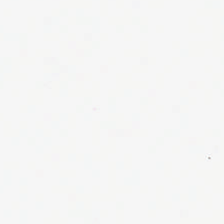Hematoxylin and eosin. Impression — background.
